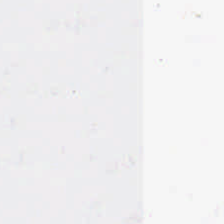H&E stain. Content: empty background.
